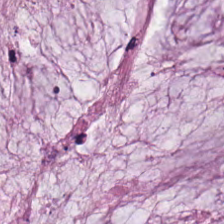Hematoxylin and eosin. Impression → mucus.
